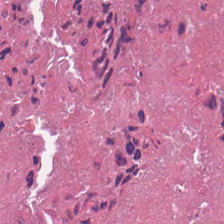224×224 px patch. WSI patch. H&E-stained tissue section — Cellular debris.
